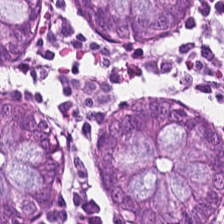H&E stain.
Predominant tissue = normal colon mucosa.
